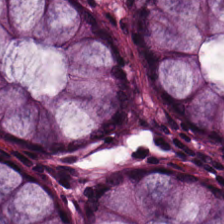Finding → normal colonic mucosa.
